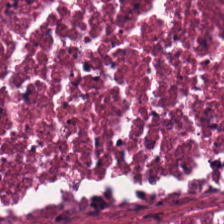Brightfield microscopy; hematoxylin-and-eosin stained section — This field is debris.
